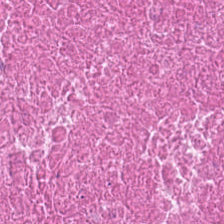Stain: H&E.
Preparation: formalin-fixed paraffin-embedded section.
Tissue type: cellular debris.
